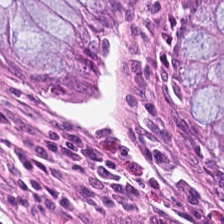0.5 µm/px; hematoxylin and eosin. The tissue here is normal colon mucosa.
